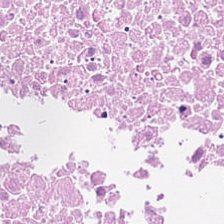H&E-stained tissue section; FFPE; 224×224 px tile. Q: Identify the tissue.
A: The field shows cellular debris.
